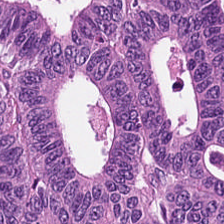Hematoxylin and eosin — Impression — malignant epithelium.
